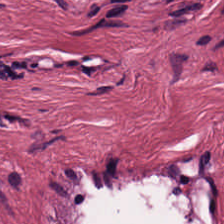Hematoxylin and eosin.
This field is tumor stroma.
